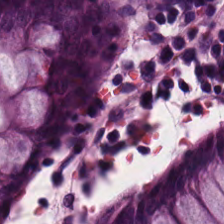WSI patch · 224×224 px tile · hematoxylin-and-eosin stained section. Predominant tissue — non-neoplastic colon mucosa.
